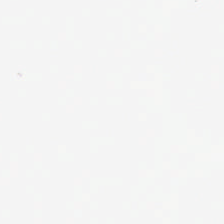No tissue present; background only.
